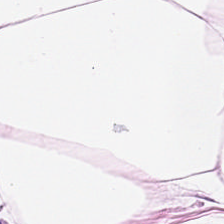Stain: H&E stain.
Tissue: adipocytes.
